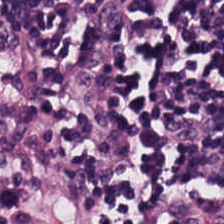Hematoxylin-and-eosin stained section.
Q: What tissue is shown?
A: Lymphocytes.
